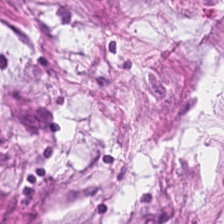Stain: H&E stain.
Tissue class: tumor stroma.
